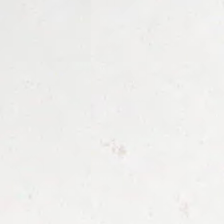Stain: H&E.
Content: background (no tissue).
